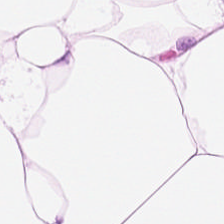Hematoxylin-and-eosin section: fat tissue.
